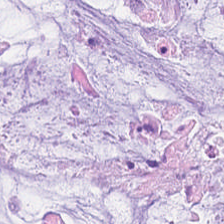Classification — mucus.
